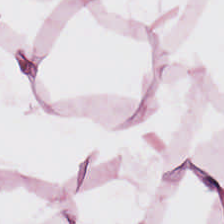H&E stain — Finding → adipose tissue.
